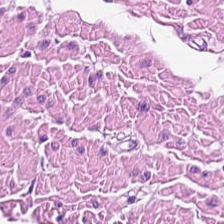Q: What does this patch show?
A: The field shows muscularis.
